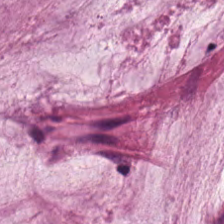Hematoxylin-and-eosin stained section — Impression → mucus.
